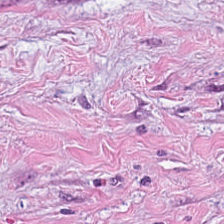Stain: hematoxylin and eosin.
Acquisition: WSI patch.
Tile size: 224×224 px tile.
Tissue: desmoplastic stroma.
